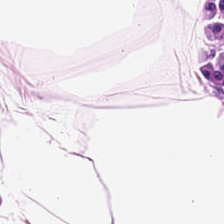Finding → adipose.
